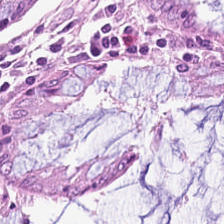Hematoxylin-and-eosin stained section; 0.5 µm/px — Tissue class: benign colonic mucosa.
